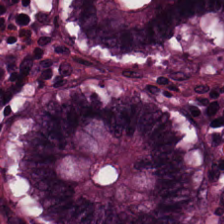Stain: H&E-stained tissue section.
Tissue class: benign colonic mucosa.
